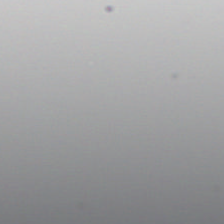H&E. Finding → background (no tissue).
